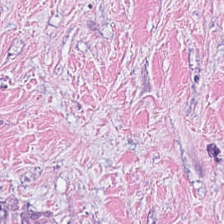H&E-stained section; the field shows tumor-associated stroma.
